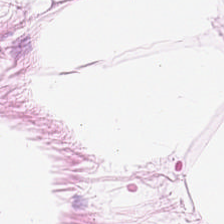Hematoxylin and eosin. Predominantly fat tissue.
